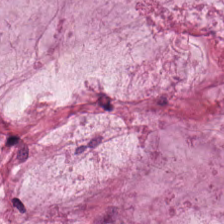Hematoxylin and eosin.
The tissue here is mucus.
